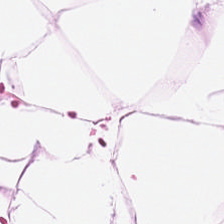H&E stain. Histology — adipocytes.
